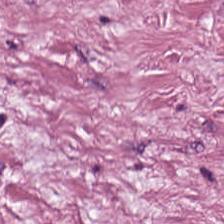Hematoxylin and eosin. This patch shows desmoplastic stroma.
